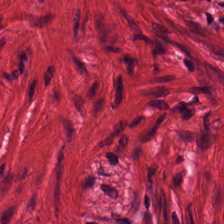20× equivalent magnification; FFPE; hematoxylin and eosin.
Q: What is the predominant tissue type?
A: The field shows smooth-muscle tissue.
